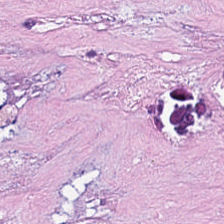H&E-stained tissue section · 224×224 px tile. Classification = debris.
